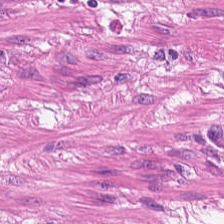H&E.
Q: What tissue type is shown here?
A: Muscularis.
